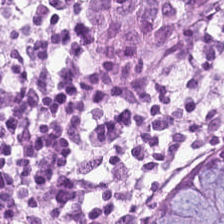Hematoxylin and eosin. 0.5 microns per pixel. 224×224 px tile. Tissue class: non-neoplastic colon mucosa.
